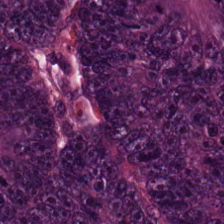Q: What does this patch show?
A: The field shows malignant epithelium.
